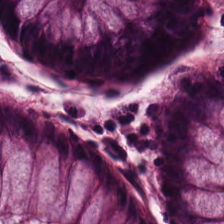0.5 µm per pixel · hematoxylin and eosin — This field is non-neoplastic colon mucosa.
